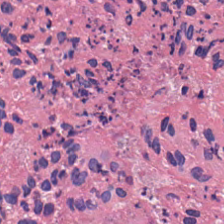224×224 px patch; H&E-stained tissue section — Predominantly cellular debris.
